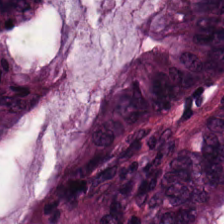FFPE; hematoxylin-and-eosin stained section — Tissue type — tumor epithelium.
